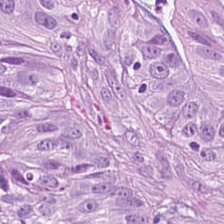Stain: H&E.
Tissue: tumor epithelium.
